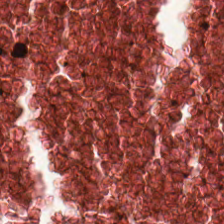224×224 pixel tile · H&E-stained tissue section. Q: What type of tissue is this?
A: Debris.
